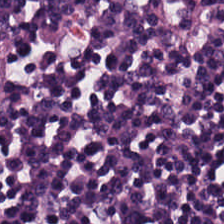Brightfield microscopy. H&E-stained tissue section — Finding — lymphoid infiltrate.
